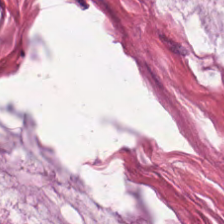0.5 µm per pixel · hematoxylin-and-eosin stained section.
Predominantly mucus.
